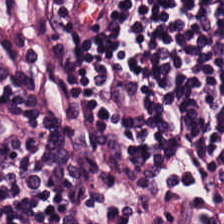FFPE tissue section; H&E — Q: What is shown in this field?
A: It is lymphocytes.
